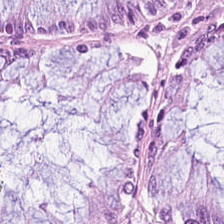H&E stain.
This field is normal colonic mucosa.
